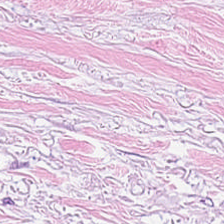Hematoxylin and eosin.
The tissue is desmoplastic stroma.
